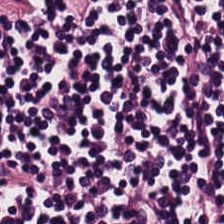Q: What tissue type is shown here?
A: It is lymphocyte aggregate.
